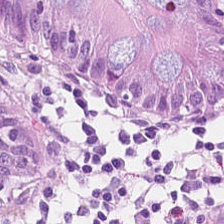H&E-stained tissue section. This patch shows normal colon mucosa.
